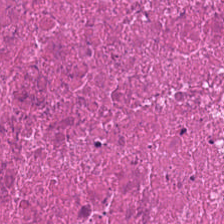H&E stain; 0.5 µm per pixel; FFPE — Tissue class: cellular debris.
